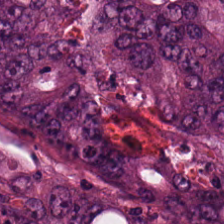Q: Classify this patch.
A: It is adenocarcinoma.
